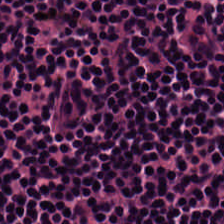Formalin-fixed paraffin-embedded section; whole-slide-image patch; H&E stain — Tissue: lymphocytic infiltrate.
